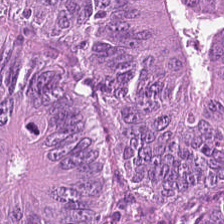H&E-stained tissue section. Predominant tissue — tumor epithelium.
